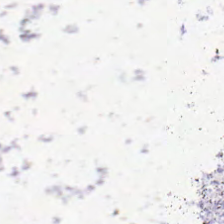224×224 px tile. H&E stain. Classification — no tissue.
